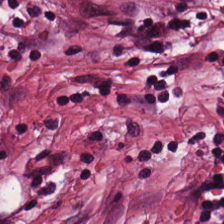H&E stain.
Classification: cancer-associated stroma.
